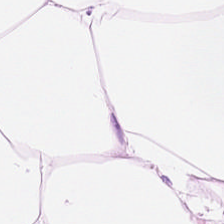Hematoxylin and eosin · WSI patch.
Predominantly fat tissue.
